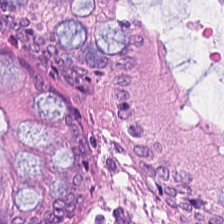Showing non-neoplastic colon mucosa.
